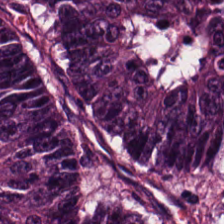H&E-stained tissue section.
The predominant tissue is adenocarcinoma.
